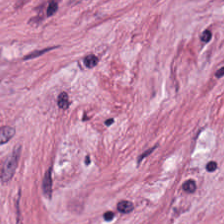0.5 microns per pixel; FFPE; hematoxylin-and-eosin stained section — Predominantly cancer-associated stroma.
